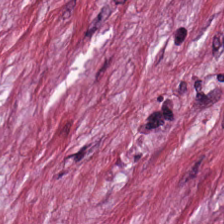H&E-stained tissue section showing tumor stroma.
